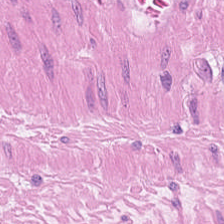H&E stain.
The predominant tissue is smooth muscle.
